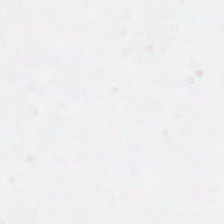Hematoxylin and eosin — Classification = background.
